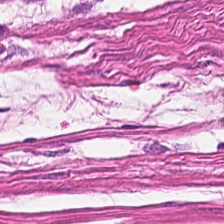FFPE tissue section · 20× equivalent magnification · H&E-stained tissue section. Predominant tissue: smooth muscle.
